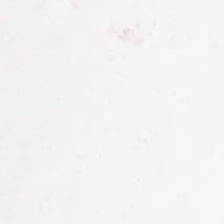Background — no tissue in this field.
